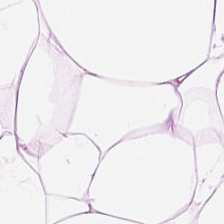H&E. The tissue type is adipocytes.
